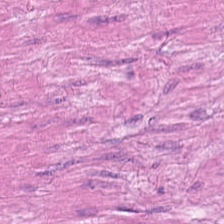Hematoxylin-and-eosin stained section.
{"tissue_type": "smooth-muscle tissue"}
